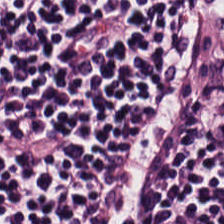H&E stain. Q: Classify this patch.
A: It is lymphoid infiltrate.
